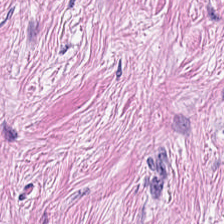Impression — cancer-associated stroma.
